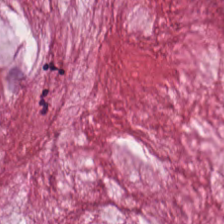The tissue type is extracellular mucin.
